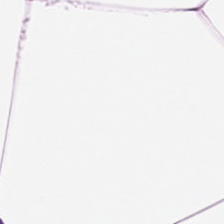Brightfield · hematoxylin-and-eosin stained section. Predominantly adipose tissue.
